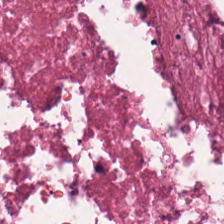This field is necrotic debris.
